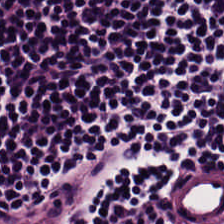224×224 pixel tile. WSI patch. H&E-stained tissue section. Finding — lymphocytes.
